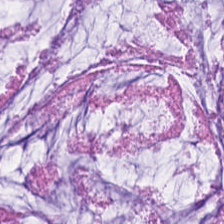H&E-stained section; the field shows mucus.
